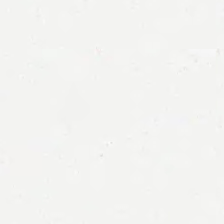H&E-stained tissue section.
Finding — background (no tissue).
